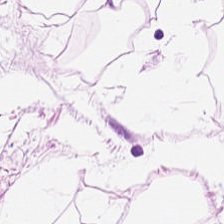H&E. This patch shows fat tissue.
